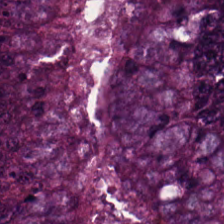Stain: H&E stain.
Resolution: 0.5 µm per pixel.
Acquisition: WSI patch.
Tissue type: tumor epithelium.
